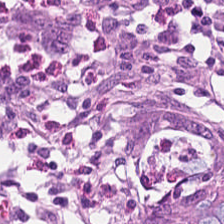Predominantly normal colonic mucosa.
